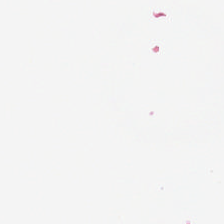H&E-stained tissue section — Empty field — background.
